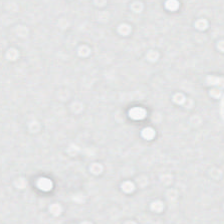Brightfield · hematoxylin-and-eosin stained section · FFPE tissue section. Q: Classify this patch.
A: The field shows background.
